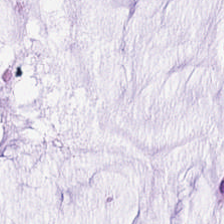H&E — mucus.
